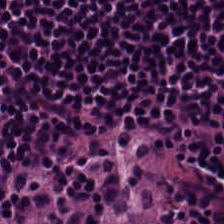H&E stain — Q: What is shown in this field?
A: The field shows lymphoid infiltrate.
